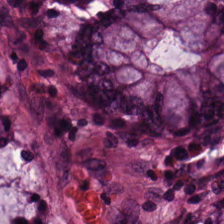H&E-stained tissue section showing normal colonic mucosa.
